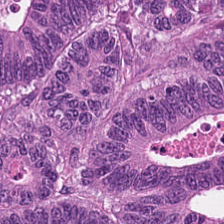Showing malignant epithelium.
